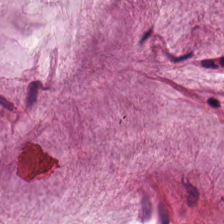Stain: hematoxylin and eosin.
Classification: mucus.
